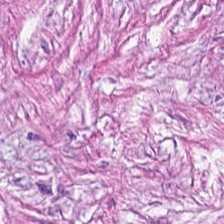Hematoxylin-and-eosin stained section · FFPE.
Q: What does this patch show?
A: This is tumor stroma.
